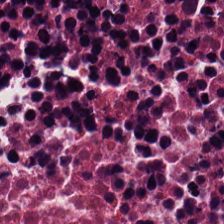Hematoxylin-and-eosin stained section. Brightfield microscopy. 0.5 µm per pixel — Q: What is the predominant tissue type?
A: It is debris.
